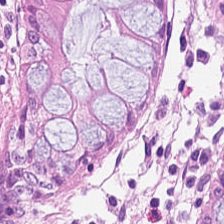FFPE tissue section; hematoxylin and eosin.
Normal colon mucosa.
